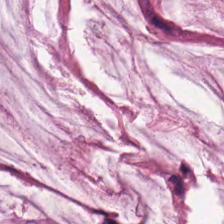Hematoxylin and eosin — Q: What tissue is shown?
A: It is mucus.
